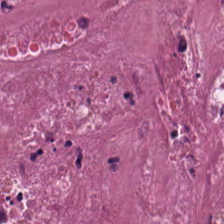H&E-stained tissue section — The tissue here is cellular debris.
